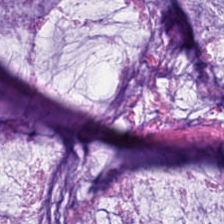Impression → extracellular mucin.
